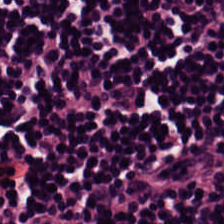Hematoxylin-and-eosin stained section. {"tissue_type": "lymphocytes"}
